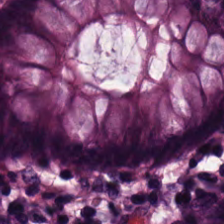Impression — normal colonic mucosa.
